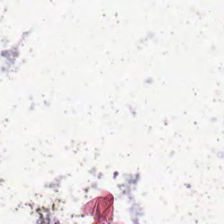H&E-stained tissue section · FFPE.
Classification: no tissue.
